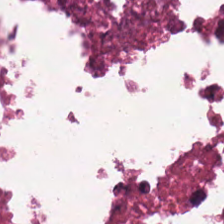Tissue type: debris.
